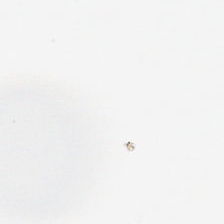224×224 px tile; H&E-stained tissue section — Classification — empty background.
